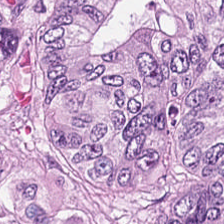H&E patch showing malignant epithelium.
